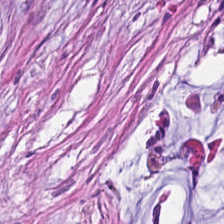H&E stain · 0.5 µm/px · FFPE. The predominant tissue is desmoplastic stroma.
